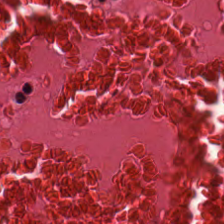H&E stain.
{"tissue_type": "debris"}
